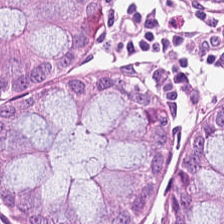Stain: H&E stain.
Tissue class: normal colonic mucosa.
